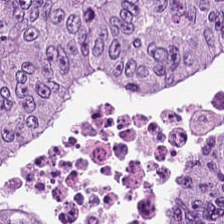Stain: H&E.
Tile size: 224×224 pixel tile.
Predominant tissue: adenocarcinoma.
